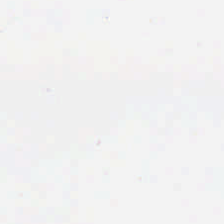224×224 pixel tile · H&E-stained tissue section — Q: What is shown in this field?
A: Background (no tissue).
